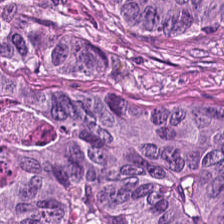FFPE. H&E-stained tissue section. 20× equivalent magnification.
Tissue = colorectal adenocarcinoma epithelium.
